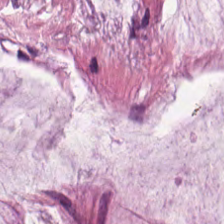Hematoxylin-and-eosin stained section. Showing mucin.
